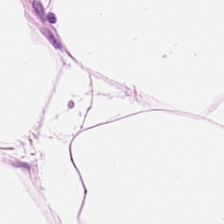H&E-stained tissue section; 224×224 px patch. Predominant tissue — fat tissue.
